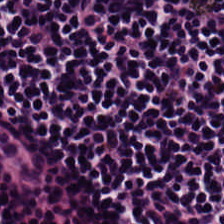Whole-slide-image patch · H&E — This field is lymphocytes.
